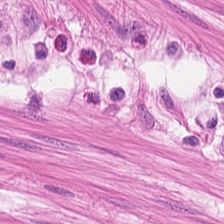Showing smooth-muscle tissue.
